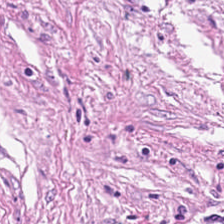Hematoxylin and eosin.
Predominant tissue: cancer-associated stroma.
